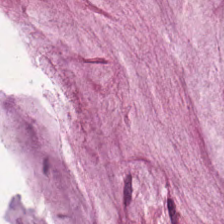Stain: hematoxylin-and-eosin stained section.
Resolution: 20× equivalent magnification.
Tissue type: extracellular mucin.
